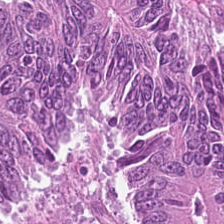H&E · 20× equivalent magnification · 224×224 px tile. Adenocarcinoma.
